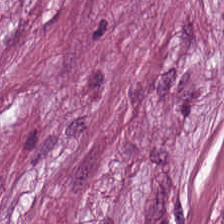H&E stain. Tissue type = tumor stroma.
